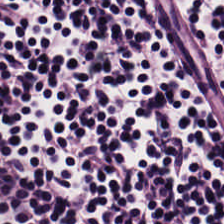H&E-stained tissue section.
Predominant tissue: lymphocytes.
